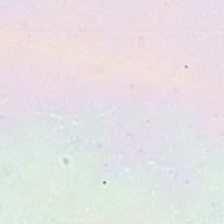Hematoxylin-and-eosin stained section · 0.5 µm per pixel · FFPE — Content = background (no tissue).
